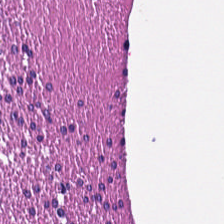Hematoxylin and eosin — Smooth-muscle tissue.
